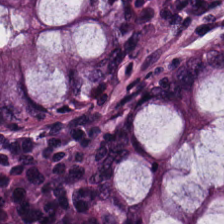20× equivalent magnification; hematoxylin-and-eosin stained section; 224×224 px tile.
Predominantly benign colonic mucosa.
